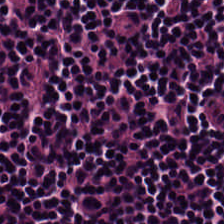Hematoxylin and eosin · 224×224 px patch · 0.5 µm/px — This patch shows lymphocytes.
